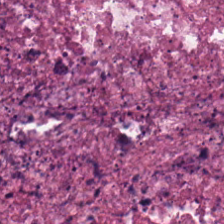H&E-stained tissue section. Necrotic debris.
